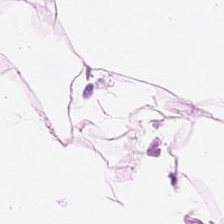Stain: hematoxylin and eosin.
Acquisition: whole-slide-image patch.
Tissue type: fat tissue.
